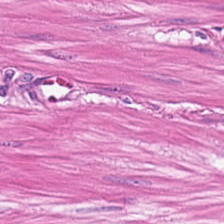Hematoxylin-and-eosin stained section; 20× equivalent magnification. Q: What type of tissue is this?
A: The field shows smooth-muscle tissue.
